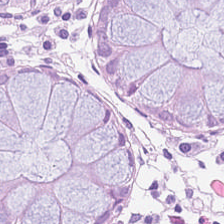H&E-stained section; the field shows benign colonic mucosa.
